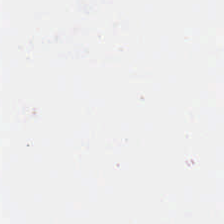Hematoxylin and eosin. No tissue present; background only.
